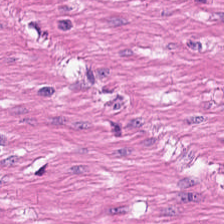Stain: H&E stain.
Predominant tissue: muscularis.
